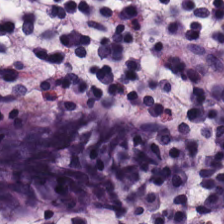H&E — non-neoplastic colon mucosa.
